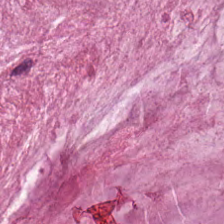Tissue — mucus.
